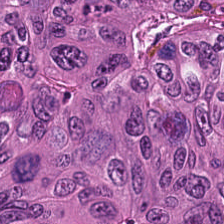224×224 pixel tile. Hematoxylin and eosin.
Q: What type of tissue is this?
A: It is malignant epithelium.
